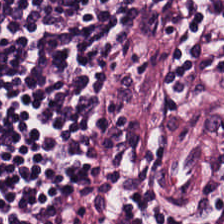Hematoxylin-and-eosin stained section.
Showing lymphocyte aggregate.
